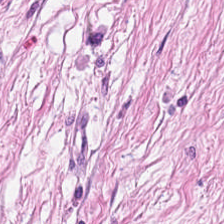Finding — tumor stroma.
